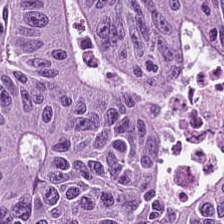Hematoxylin-and-eosin stained section — Histology — malignant epithelium.
